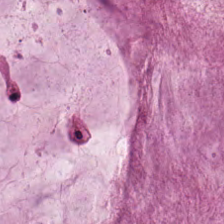H&E — This field is mucin.
